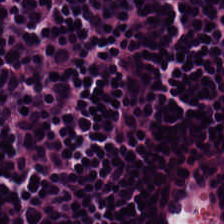0.5 microns per pixel. H&E. WSI patch.
Tissue type — lymphocyte aggregate.
